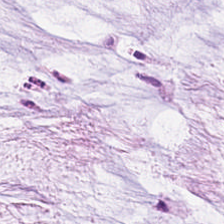Hematoxylin and eosin. 224×224 px tile. Q: What tissue is shown?
A: It is mucin.
